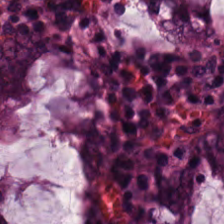H&E. Tissue class = benign colonic mucosa.
